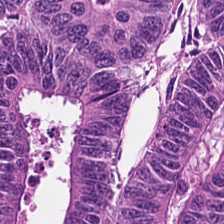WSI patch · hematoxylin-and-eosin stained section. Tissue: malignant epithelium.
